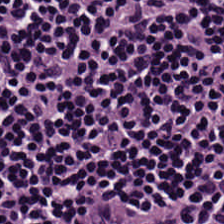H&E-stained tissue section · 224×224 px patch — The tissue is lymphoid infiltrate.
